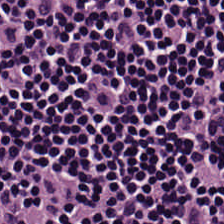Stain: hematoxylin-and-eosin stained section.
Tissue type: lymphocytic infiltrate.
